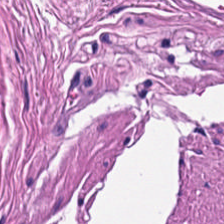Smooth-muscle tissue.
